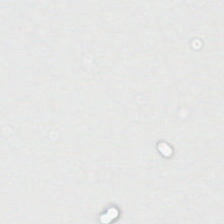Hematoxylin and eosin · whole-slide-image patch. Impression — empty background.
